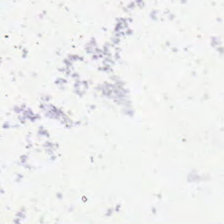Hematoxylin and eosin — No tissue present; background only.
